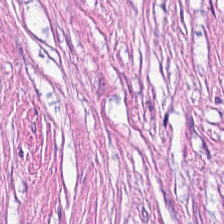Hematoxylin and eosin · formalin-fixed paraffin-embedded section — Q: What does this patch show?
A: This is cancer-associated stroma.
